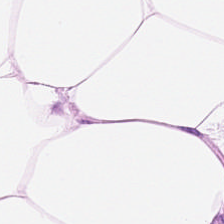Brightfield; 224×224 pixel tile; H&E.
Tissue: adipose tissue.
